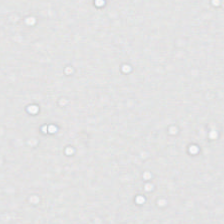H&E · formalin-fixed paraffin-embedded section · whole-slide-image patch — Empty background.
